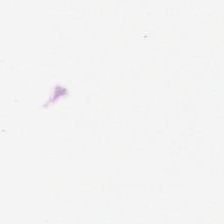H&E-stained tissue section.
The content is empty background.
